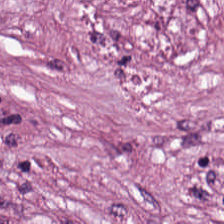Hematoxylin-and-eosin stained section — Tissue type: cancer-associated stroma.
